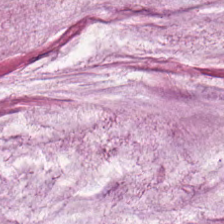Whole-slide-image patch · H&E — The tissue here is mucus.
